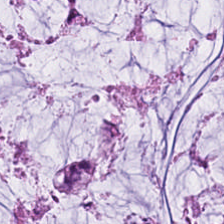20× equivalent magnification. H&E stain. Brightfield — The tissue here is mucin.
